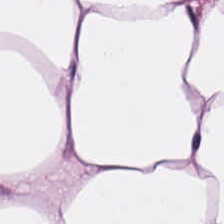20× equivalent magnification · H&E · FFPE tissue section. Histology → adipose.
